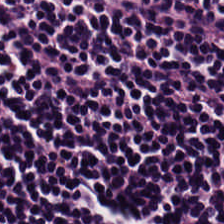Hematoxylin and eosin. Whole-slide-image patch — Tissue type: lymphoid infiltrate.
